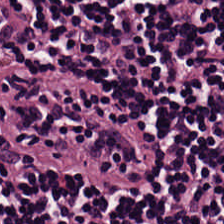H&E-stained tissue section — Showing lymphoid infiltrate.
